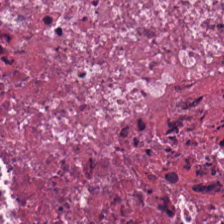Hematoxylin and eosin — Tissue type: cellular debris.
